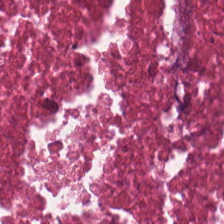H&E-stained tissue section; 224×224 px patch.
This patch shows necrotic debris.
